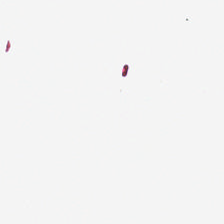Hematoxylin-and-eosin stained section · brightfield.
{"content": "background (no tissue)"}
